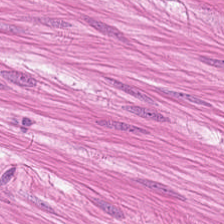224×224 px tile; H&E-stained tissue section; 0.5 microns per pixel. Finding — smooth muscle.
